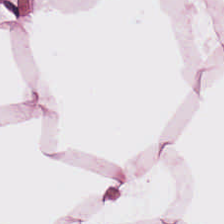H&E-stained tissue section · 0.5 microns per pixel · brightfield — Tissue = fat tissue.
